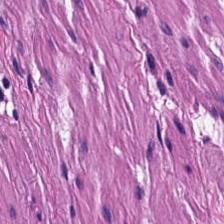FFPE. H&E.
The tissue here is smooth muscle.
